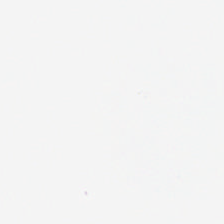224×224 pixel tile · H&E-stained tissue section. Histology → background (no tissue).
